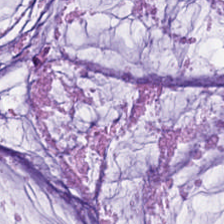Finding → extracellular mucin.
